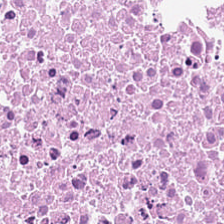H&E stain. Formalin-fixed paraffin-embedded section. This patch shows necrotic debris.
